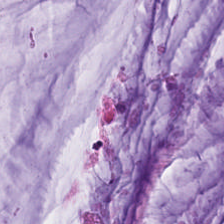Hematoxylin and eosin; 224×224 pixel tile; formalin-fixed paraffin-embedded section.
Tissue: extracellular mucin.
